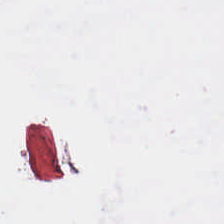Stain: H&E.
Tile size: 224×224 pixel tile.
Acquisition: brightfield microscopy.
Content: background (no tissue).
